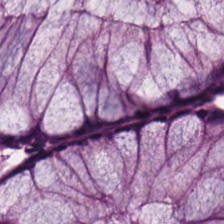Hematoxylin-and-eosin stained section; whole-slide-image patch. Tissue type — normal colon mucosa.
